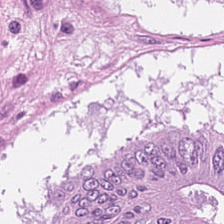Q: Classify this patch.
A: The field shows colorectal adenocarcinoma.
